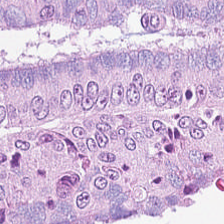FFPE. H&E. This field is tumor epithelium.
